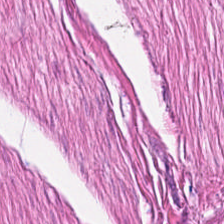H&E stain · brightfield microscopy.
Smooth-muscle tissue.
